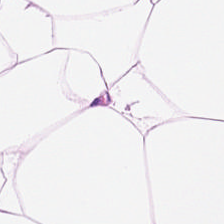224×224 px patch; H&E — Predominant tissue — adipocytes.
